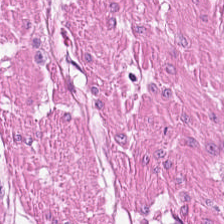H&E stain — Tissue type: smooth muscle.
